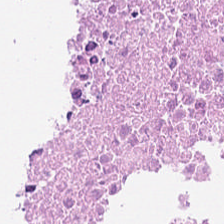0.5 microns per pixel · H&E stain. Showing debris.
